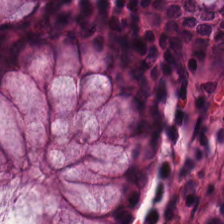Hematoxylin-and-eosin stained section.
Tissue type = non-neoplastic colon mucosa.
